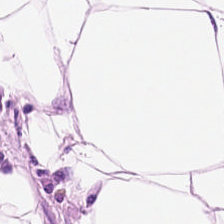224×224 px tile; H&E-stained tissue section. Q: What type of tissue is this?
A: It is fat tissue.
